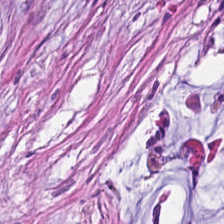H&E stain.
The predominant tissue is tumor-associated stroma.
